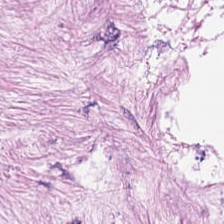Formalin-fixed paraffin-embedded section. Hematoxylin-and-eosin stained section. 224×224 px patch — Q: What is shown in this field?
A: The field shows cancer-associated stroma.
